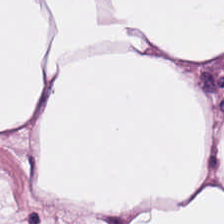0.5 microns per pixel · hematoxylin-and-eosin stained section. This patch shows adipose.
